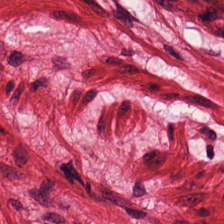Tissue type: smooth muscle.
